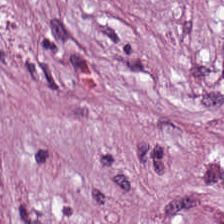Brightfield; hematoxylin-and-eosin stained section. Showing tumor-associated stroma.
